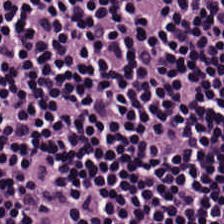Stain: hematoxylin and eosin.
Preparation: formalin-fixed paraffin-embedded section.
Acquisition: WSI patch.
Classification: lymphocyte aggregate.
